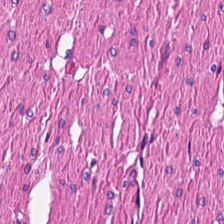Brightfield microscopy. H&E. Smooth-muscle tissue.
